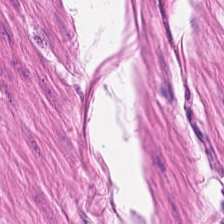Hematoxylin and eosin.
Tissue type = muscularis.
